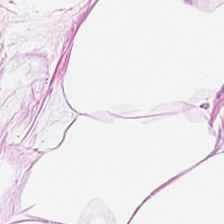Hematoxylin-and-eosin stained section. Adipocytes.
